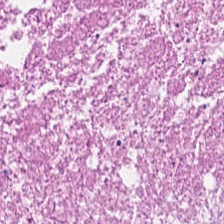H&E. 224×224 px tile — {"tissue_type": "debris"}
